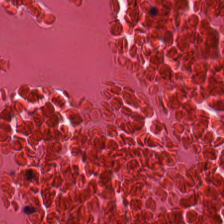Hematoxylin-and-eosin stained section — The tissue class is debris.
